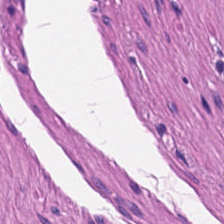Hematoxylin-and-eosin stained section — Predominantly smooth-muscle tissue.
